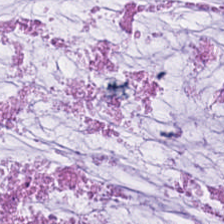Hematoxylin and eosin.
Mucin.
